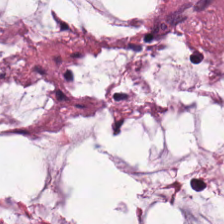Hematoxylin-and-eosin stained section — Extracellular mucin.
